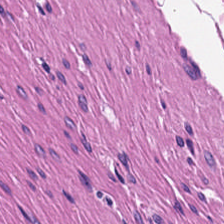H&E stain.
{"tissue_type": "muscularis"}
